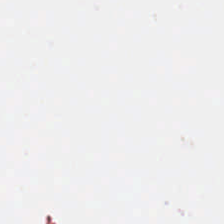0.5 microns per pixel. H&E stain. This patch shows no tissue.
